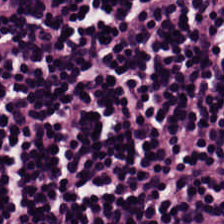H&E-stained tissue section. Q: What tissue is shown?
A: It is lymphocytes.
